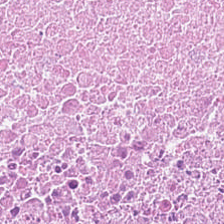Whole-slide-image patch. H&E stain. Q: What is the predominant tissue type?
A: The field shows necrotic debris.
